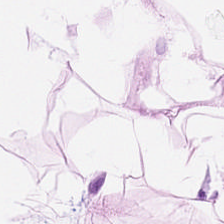Stain: hematoxylin and eosin.
Predominant tissue: fat tissue.
